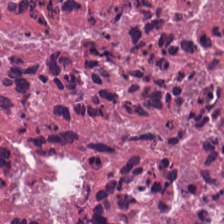224×224 px patch. H&E stain. Q: What does this patch show?
A: The field shows cellular debris.
